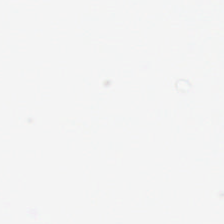Hematoxylin-and-eosin stained section. The content is empty background.
